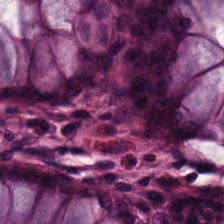Hematoxylin-and-eosin stained section. Q: What tissue type is shown here?
A: This is non-neoplastic colon mucosa.
